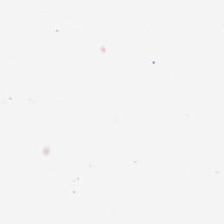No tissue present; background only.
